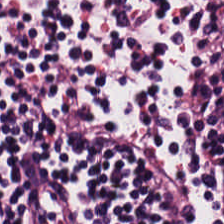Tissue class = lymphoid infiltrate.
